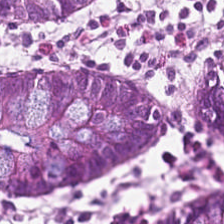The tissue type is benign colonic mucosa.
